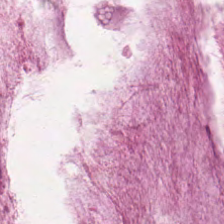H&E; 0.5 µm per pixel — Impression — mucus.
